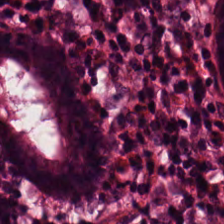H&E stain. Tissue type = non-neoplastic colon mucosa.
